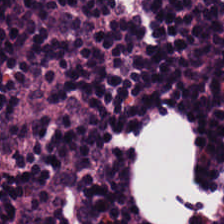FFPE · hematoxylin-and-eosin stained section — The predominant tissue is lymphocytic infiltrate.
